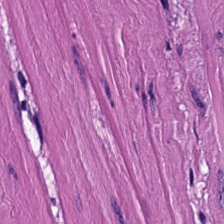H&E-stained tissue section. Histology → smooth muscle.
